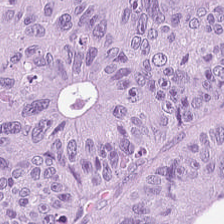Stain: hematoxylin-and-eosin stained section.
Tissue: tumor epithelium.
